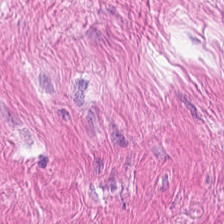Whole-slide-image patch. Hematoxylin-and-eosin stained section — The tissue here is muscularis.
